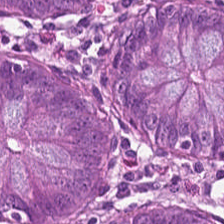Hematoxylin and eosin · 224×224 px patch.
Tissue class — normal colon mucosa.
